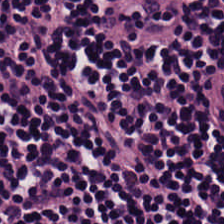H&E. WSI patch.
Predominant tissue: lymphocyte aggregate.
